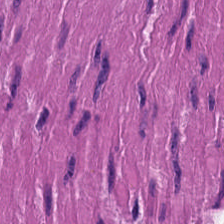H&E-stained tissue section.
The predominant tissue is muscularis.
